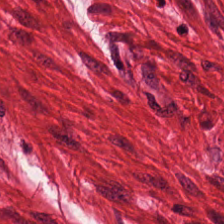H&E-stained tissue section; brightfield; 20× equivalent magnification — The tissue here is muscularis.
